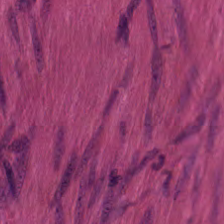H&E. This field is smooth-muscle tissue.
